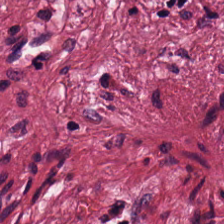Q: What is the predominant tissue type?
A: This is tumor-associated stroma.
